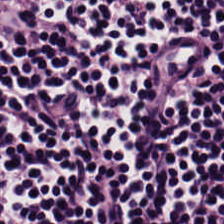The tissue here is lymphocytic infiltrate.
